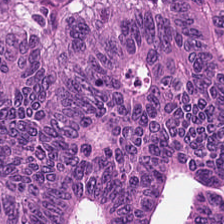Q: What is the predominant tissue type?
A: This is malignant epithelium.
